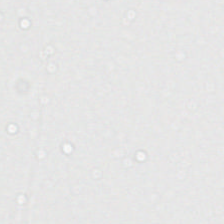H&E-stained tissue section — This field is background (no tissue).
